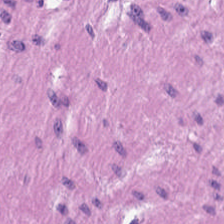Q: What is shown here?
A: This is smooth-muscle tissue.
